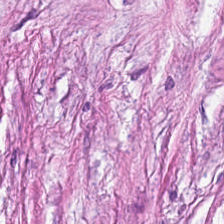H&E-stained tissue section — Showing tumor stroma.
